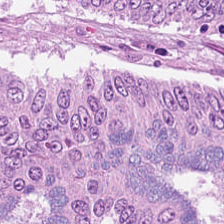FFPE tissue section; hematoxylin and eosin.
Finding — colorectal adenocarcinoma.
